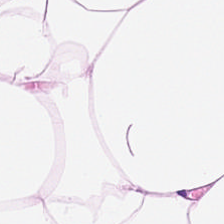Hematoxylin and eosin.
{"tissue_type": "adipocytes"}
